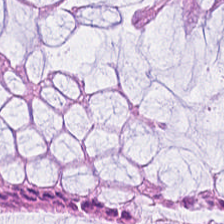Stain: hematoxylin and eosin.
Resolution: 0.5 µm/px.
Preparation: FFPE.
Classification: non-neoplastic colon mucosa.
